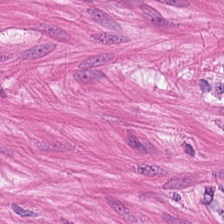Hematoxylin-and-eosin stained section. Q: What does this patch show?
A: Smooth muscle.
